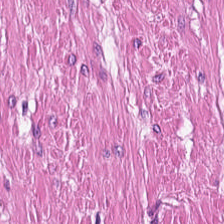224×224 px tile · formalin-fixed paraffin-embedded section · H&E stain.
Smooth muscle.
